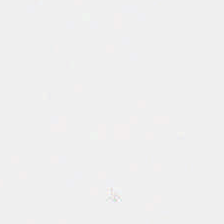Hematoxylin-and-eosin stained section; whole-slide-image patch.
Q: What is shown in this field?
A: The field shows background (no tissue).
